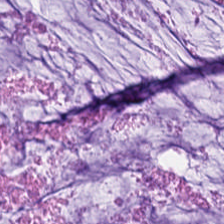Classification: mucus.
